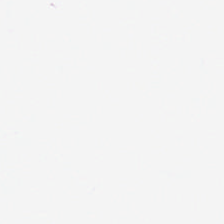H&E stain; formalin-fixed paraffin-embedded section. Finding → background (no tissue).
